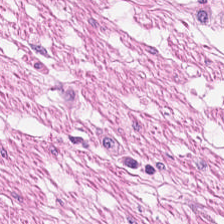WSI patch · 0.5 µm/px · hematoxylin and eosin — Classification: smooth muscle.
